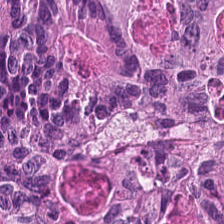H&E. The tissue here is colorectal adenocarcinoma.
